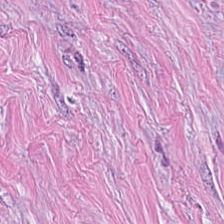WSI patch; H&E; 0.5 µm per pixel. Finding → cancer-associated stroma.
